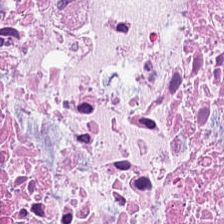224×224 px tile · hematoxylin-and-eosin stained section · FFPE. Tissue type: cellular debris.
